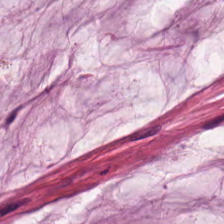20× equivalent magnification; hematoxylin and eosin; brightfield.
The predominant tissue is mucin.
